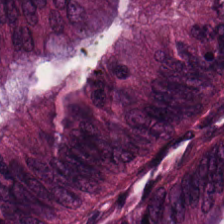H&E stain. Q: What is shown here?
A: The field shows adenocarcinoma.
